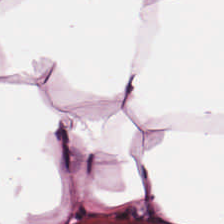WSI patch · hematoxylin and eosin. Adipose tissue.
